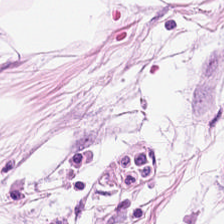Hematoxylin and eosin.
Predominantly fat tissue.
